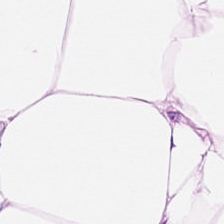Formalin-fixed paraffin-embedded section; hematoxylin and eosin — Showing adipose.
